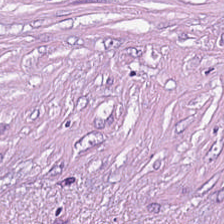H&E-stained tissue section; 20× equivalent magnification — This patch shows desmoplastic stroma.
